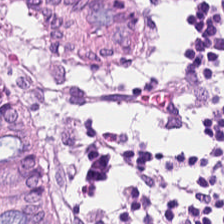This field is normal colonic mucosa.
